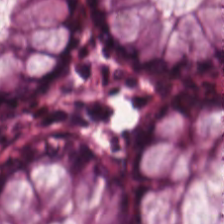Tissue type: normal colon mucosa.
